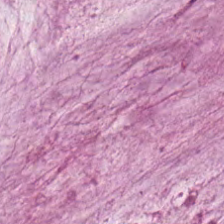Formalin-fixed paraffin-embedded section · H&E stain · 224×224 px tile — Q: What tissue is shown?
A: It is extracellular mucin.
